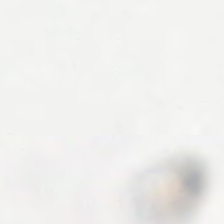H&E. Field content = empty background.
